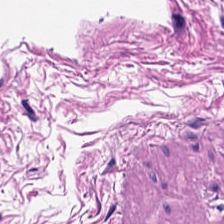Hematoxylin-and-eosin stained section.
Tissue class: smooth-muscle tissue.
